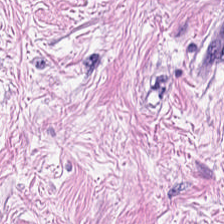0.5 µm/px · H&E-stained tissue section · 224×224 px tile.
Tissue = tumor-associated stroma.
